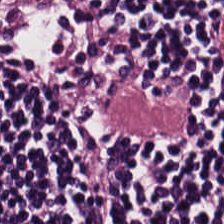The predominant tissue is lymphocytic infiltrate.
